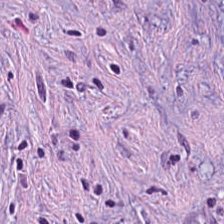WSI patch. FFPE. Hematoxylin-and-eosin stained section. Tumor stroma.
